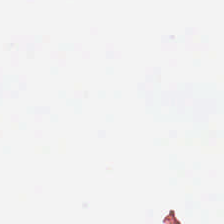H&E.
Histology — empty background.
